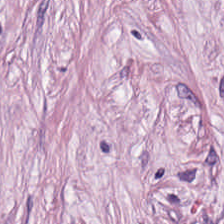H&E stain.
The tissue here is cancer-associated stroma.
